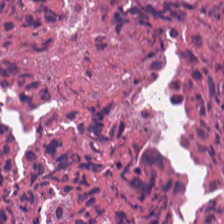H&E. Formalin-fixed paraffin-embedded section — Classification — cellular debris.
